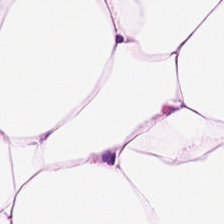{"tissue_type": "adipose"}
